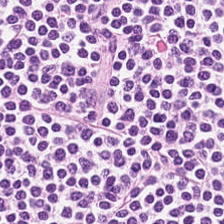Hematoxylin-and-eosin stained section — {"tissue_type": "lymphoid infiltrate"}
